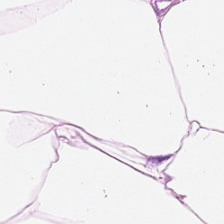H&E-stained tissue section.
Showing adipose.
